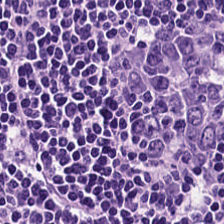224×224 px patch · formalin-fixed paraffin-embedded section · hematoxylin-and-eosin stained section. Tissue class = lymphoid infiltrate.
